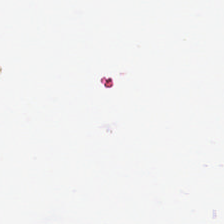FFPE tissue section · hematoxylin and eosin. The field content is empty background.
